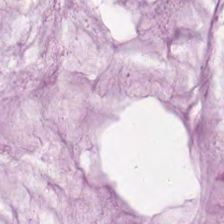Stain: hematoxylin and eosin.
Tissue type: extracellular mucin.
